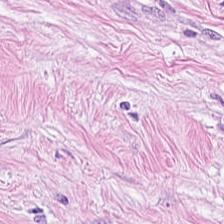Hematoxylin and eosin. Histology — desmoplastic stroma.
